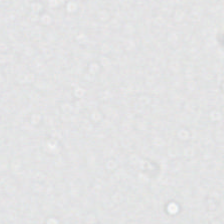H&E-stained tissue section. Classification: no tissue.
